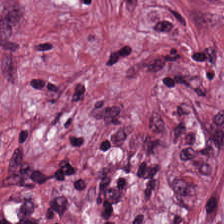Showing tumor stroma.
